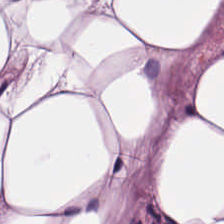Hematoxylin and eosin; 0.5 microns per pixel; 224×224 pixel tile. Q: Identify the tissue.
A: Adipose tissue.
